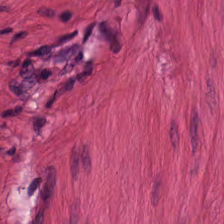Hematoxylin-and-eosin stained section.
Tissue type: smooth muscle.
